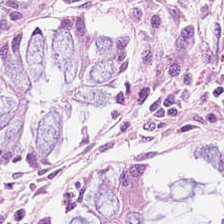Benign colonic mucosa.
